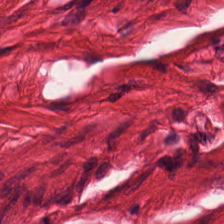Classification = smooth muscle.
